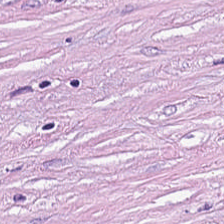H&E-stained tissue section — Cancer-associated stroma.
